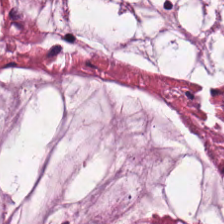H&E patch showing mucus.
